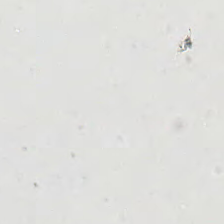H&E-stained tissue section — Empty field — background.
